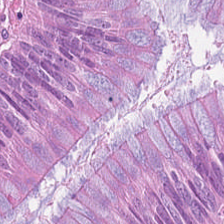0.5 microns per pixel · hematoxylin-and-eosin stained section.
The tissue here is colorectal adenocarcinoma.
